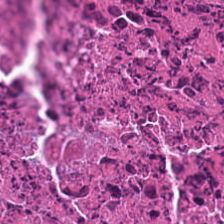FFPE; whole-slide-image patch; H&E — Impression → necrotic debris.
